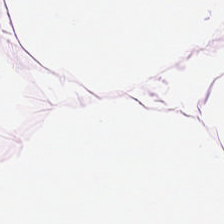H&E.
This field is adipocytes.
